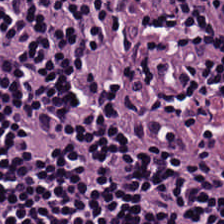20× equivalent magnification; H&E stain.
The tissue here is lymphocytic infiltrate.
